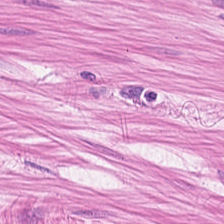Tissue: muscularis.
